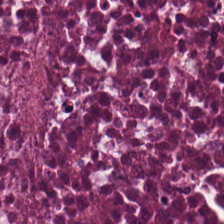Hematoxylin and eosin; FFPE tissue section. The tissue class is necrotic debris.
